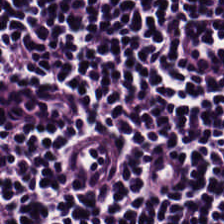Tissue = lymphocytes.
